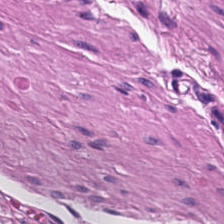FFPE; H&E; 0.5 microns per pixel — Showing smooth-muscle tissue.
